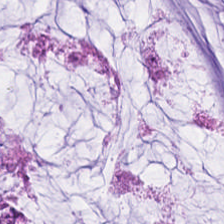Q: What tissue is shown?
A: The field shows mucin.
